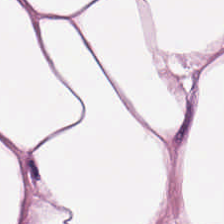WSI patch. H&E stain — This patch shows adipose.
